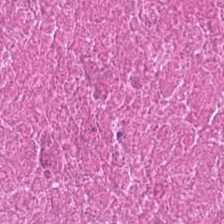Formalin-fixed paraffin-embedded section · hematoxylin-and-eosin stained section · 224×224 pixel tile. Histology — cellular debris.
